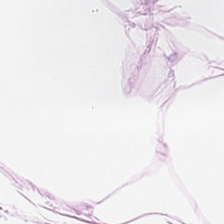This field is adipose tissue.
